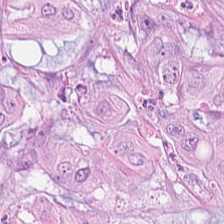Q: What type of tissue is this?
A: This is tumor epithelium.
